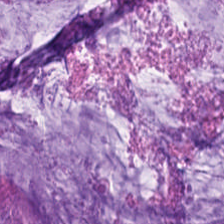Hematoxylin-and-eosin stained section. 0.5 microns per pixel. FFPE tissue section. Q: What is the predominant tissue type?
A: Mucin.
